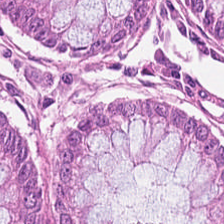224×224 pixel tile; H&E-stained tissue section.
Impression — non-neoplastic colon mucosa.
